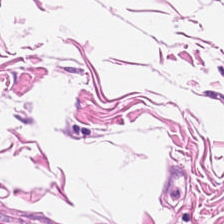Classification: adipose.
